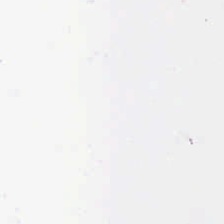Formalin-fixed paraffin-embedded section · hematoxylin and eosin — Classification = empty background.
